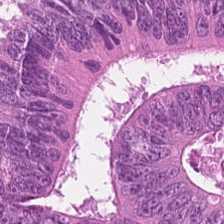Hematoxylin-and-eosin stained section.
Q: What is shown in this field?
A: It is tumor epithelium.
